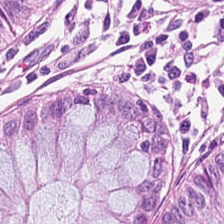Stain: H&E stain.
Tissue class: benign colonic mucosa.
